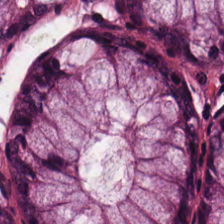Hematoxylin-and-eosin stained section; FFPE tissue section. This patch shows normal colon mucosa.
